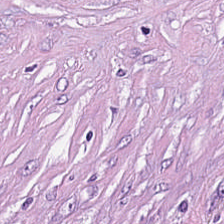0.5 microns per pixel · 224×224 px tile · hematoxylin and eosin.
Predominantly desmoplastic stroma.
